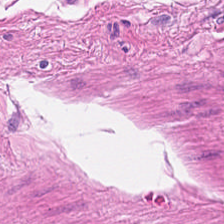Stain: H&E.
Classification: muscularis.
